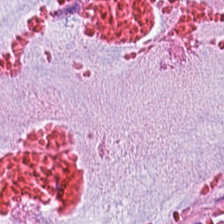Impression — extracellular mucin.
